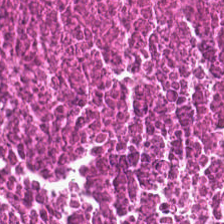FFPE. H&E stain. Histology — debris.
